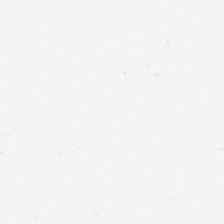224×224 px tile. Formalin-fixed paraffin-embedded section. H&E. Content: background.
